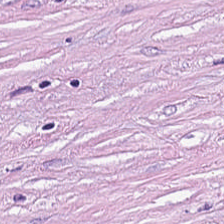Hematoxylin and eosin. Finding → tumor-associated stroma.
